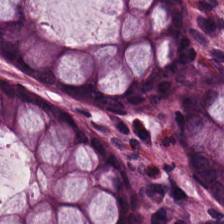Stain: H&E stain.
Resolution: 0.5 µm per pixel.
Acquisition: brightfield microscopy.
Tissue: benign colonic mucosa.
